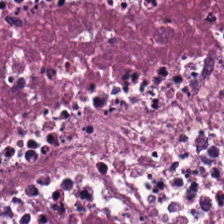Stain: H&E.
Resolution: 20× equivalent magnification.
Predominant tissue: debris.
